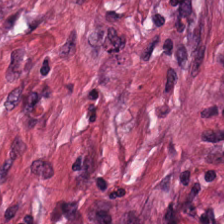H&E-stained tissue section — {"tissue_type": "desmoplastic stroma"}
